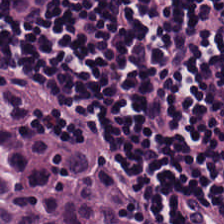Classification — lymphocyte aggregate.
